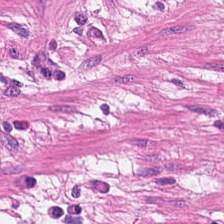H&E · 0.5 µm per pixel. Tissue: muscularis.
